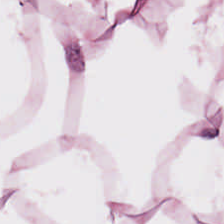H&E-stained tissue section; 0.5 microns per pixel. Classification — fat tissue.
